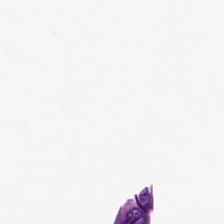H&E.
This patch shows empty background.
